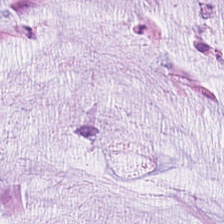H&E-stained tissue section showing mucus.
